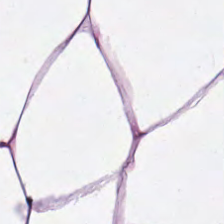Hematoxylin and eosin; formalin-fixed paraffin-embedded section.
The tissue here is adipocytes.
